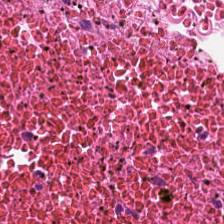H&E. {"tissue_type": "debris"}
